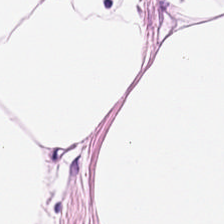Formalin-fixed paraffin-embedded section · H&E-stained tissue section · WSI patch. Q: What type of tissue is this?
A: It is adipocytes.
